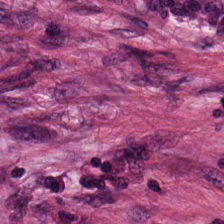H&E stain; 0.5 µm/px. Q: What tissue is shown?
A: Cancer-associated stroma.
